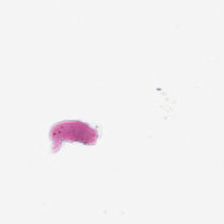This field is background (no tissue).
